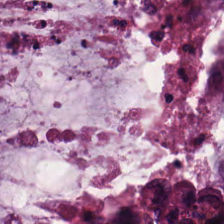H&E stain · 224×224 px tile. Q: What is shown here?
A: It is mucus.
